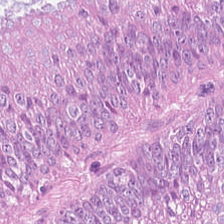WSI patch · H&E-stained tissue section.
Showing colorectal adenocarcinoma.
